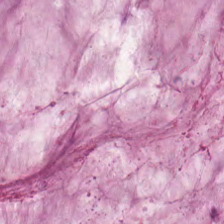0.5 µm/px; H&E-stained tissue section; 224×224 pixel tile.
Tissue — mucin.
